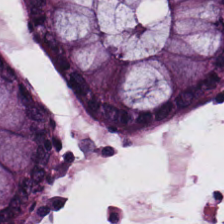Impression — normal colon mucosa.
